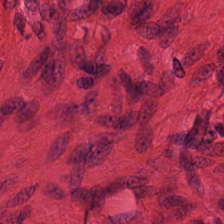Hematoxylin-and-eosin stained section.
The tissue here is smooth muscle.
